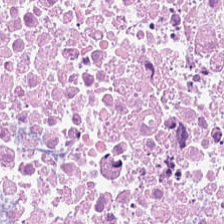Hematoxylin-and-eosin stained section · 0.5 µm per pixel · whole-slide-image patch — Histology → necrotic debris.
